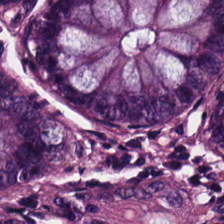H&E-stained tissue section. Normal colon mucosa.
